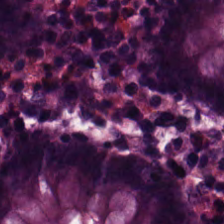Predominantly normal colonic mucosa.
